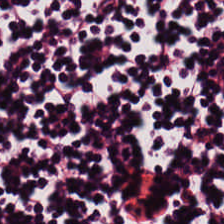Brightfield microscopy. Hematoxylin and eosin. {"tissue_type": "lymphocytes"}
